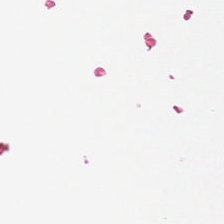Hematoxylin and eosin; 224×224 pixel tile; brightfield microscopy.
The field content is background.
